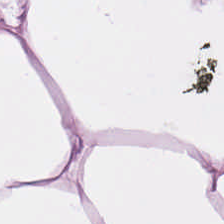224×224 pixel tile; hematoxylin and eosin; 20× equivalent magnification.
Predominantly adipose tissue.
